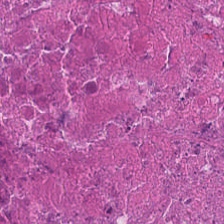H&E-stained tissue section · FFPE tissue section. Histology — debris.
